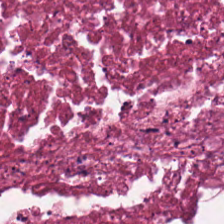WSI patch; hematoxylin and eosin. Finding → cellular debris.
